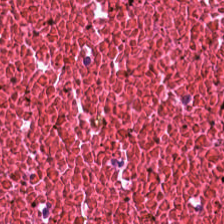H&E stain — The tissue here is necrotic debris.
